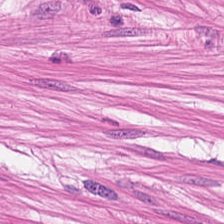Stain: hematoxylin and eosin.
Acquisition: WSI patch.
Tissue class: smooth-muscle tissue.
